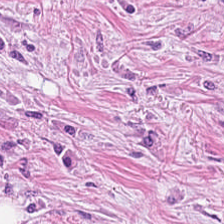The tissue here is cancer-associated stroma.
